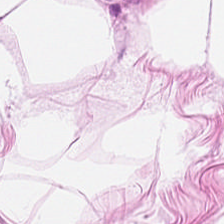Hematoxylin and eosin.
Predominant tissue: adipose tissue.
